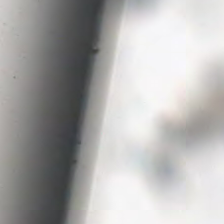Hematoxylin-and-eosin stained section. 224×224 px tile. 0.5 µm per pixel.
{"content": "background"}
